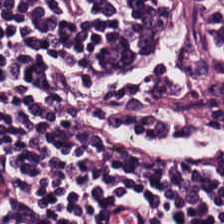H&E stain — Tissue: lymphoid infiltrate.
